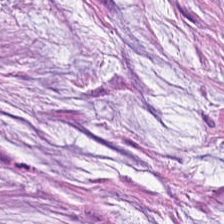Stain: H&E-stained tissue section.
Predominant tissue: mucus.
